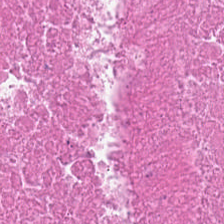H&E · WSI patch.
Tissue — cellular debris.
